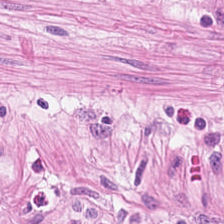Hematoxylin and eosin — Q: Identify the tissue.
A: Smooth muscle.
